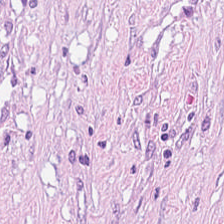H&E stain.
Q: What tissue is shown?
A: This is tumor-associated stroma.
